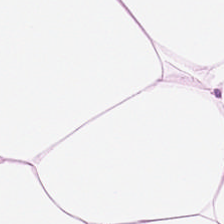Hematoxylin and eosin · 0.5 µm per pixel.
This field is fat tissue.
